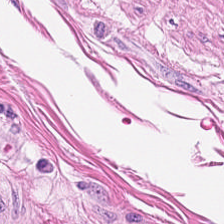0.5 microns per pixel · H&E stain. The classification is muscularis.
